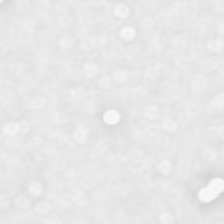H&E stain. 224×224 px tile — No tissue present; background only.
